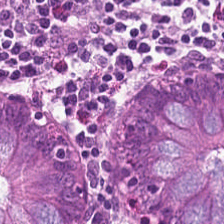Hematoxylin-and-eosin stained section — Q: What is shown in this field?
A: This is normal colonic mucosa.
